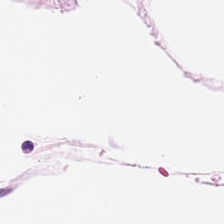H&E stain; FFPE tissue section; 224×224 px tile — Showing adipose tissue.
